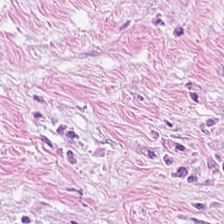Hematoxylin-and-eosin stained section — Impression → tumor stroma.
